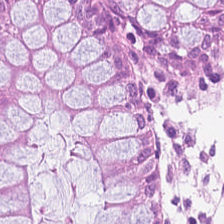Hematoxylin-and-eosin stained section.
Q: What is shown in this field?
A: The field shows non-neoplastic colon mucosa.
